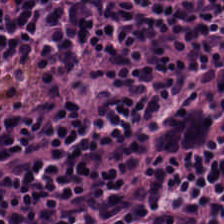Hematoxylin and eosin. Predominant tissue = lymphocyte aggregate.
